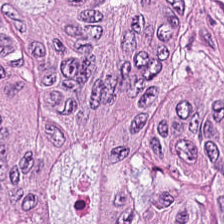H&E-stained tissue section — Tissue type = adenocarcinoma.
